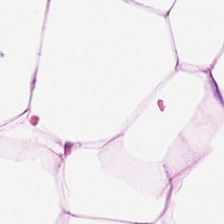224×224 pixel tile. H&E. Predominantly adipose.
